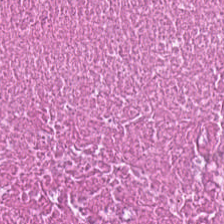Stain: H&E stain.
Resolution: 0.5 µm/px.
Predominant tissue: cellular debris.
